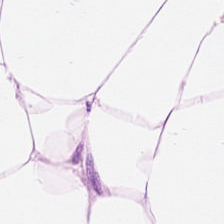H&E; 20× equivalent magnification — Fat tissue.
